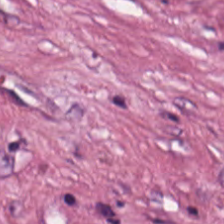H&E · 0.5 µm/px. Showing cancer-associated stroma.
